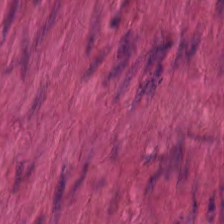H&E-stained tissue section. Tissue class: muscularis.
